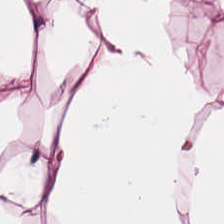Q: Identify the tissue.
A: It is adipocytes.
